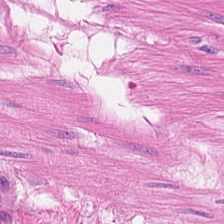Q: What is shown here?
A: The field shows smooth-muscle tissue.
